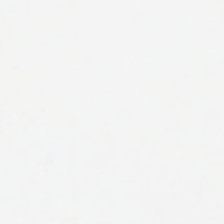Stain: hematoxylin-and-eosin stained section.
Field content: empty background.
